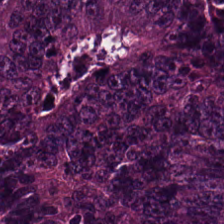H&E-stained tissue section; 224×224 pixel tile. Q: What tissue type is shown here?
A: Tumor epithelium.
